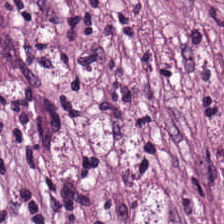Stain: hematoxylin-and-eosin stained section.
Classification: tumor-associated stroma.
